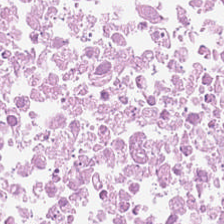H&E; FFPE tissue section.
Predominant tissue — debris.
